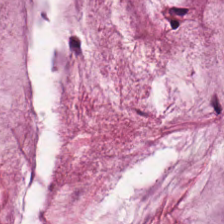Hematoxylin-and-eosin stained section. Showing mucus.
